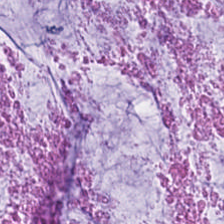H&E.
Tissue class = mucin.
